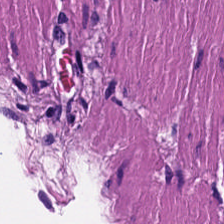Hematoxylin and eosin.
Showing muscularis.
